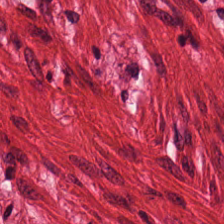H&E-stained tissue section. Brightfield.
This field is muscularis.
